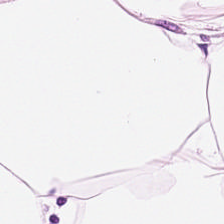H&E — fat tissue.
